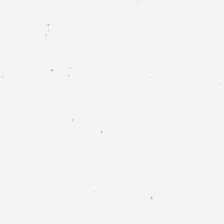H&E — Background — no tissue in this field.
